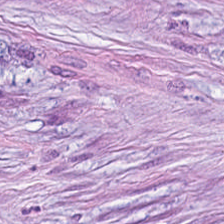Hematoxylin-and-eosin stained section. Predominantly tumor-associated stroma.
